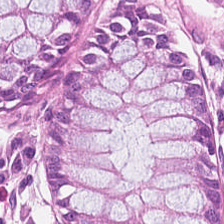224×224 px patch; hematoxylin and eosin. Histology → normal colon mucosa.
